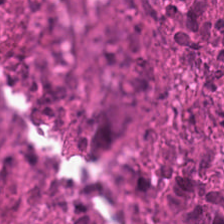Whole-slide-image patch · 224×224 pixel tile · H&E-stained tissue section. Q: What tissue type is shown here?
A: This is cellular debris.
